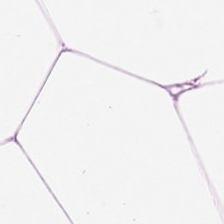The classification is adipose tissue.
